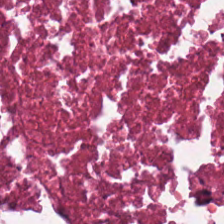0.5 microns per pixel. Hematoxylin and eosin. Necrotic debris.
